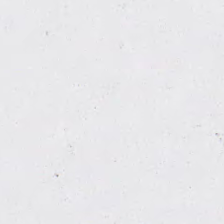Finding → background.
